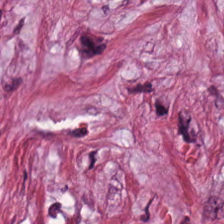224×224 px patch · 0.5 µm per pixel · H&E — Showing tumor-associated stroma.
